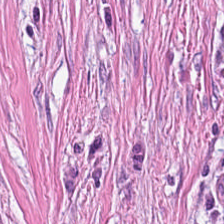Q: What is shown here?
A: This is desmoplastic stroma.
